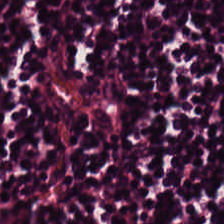Hematoxylin-and-eosin stained section — Finding → lymphocytic infiltrate.
